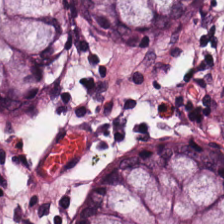The predominant tissue is normal colon mucosa.
